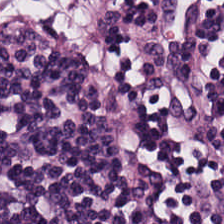Hematoxylin and eosin. This field is lymphocyte aggregate.
